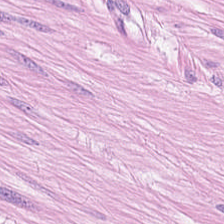H&E-stained tissue section; 0.5 microns per pixel.
Tissue = smooth-muscle tissue.
